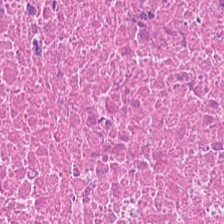Brightfield microscopy · H&E.
Showing debris.
